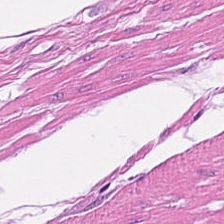H&E stain · formalin-fixed paraffin-embedded section.
Muscularis.
